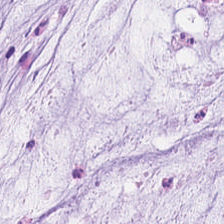FFPE · hematoxylin-and-eosin stained section — Tissue class: extracellular mucin.
